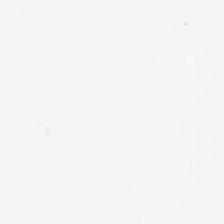FFPE tissue section; brightfield; hematoxylin and eosin.
Background — no tissue in this field.
